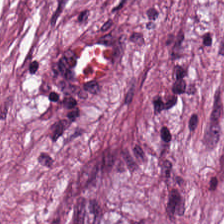Hematoxylin and eosin. FFPE — Predominantly tumor stroma.
